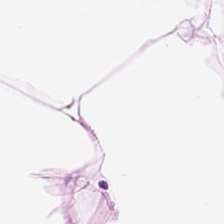H&E-stained tissue section; WSI patch — Tissue class = adipose.
